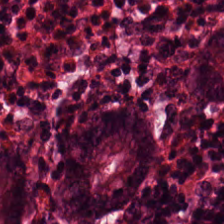H&E — Q: Classify this patch.
A: The field shows non-neoplastic colon mucosa.
